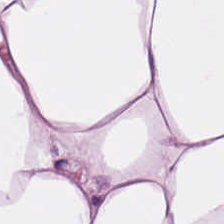H&E stain — Predominantly fat tissue.
